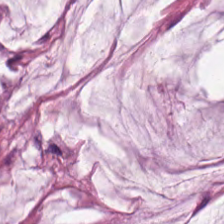H&E. Histology → mucus.
